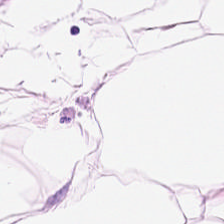224×224 px tile · brightfield · H&E stain — Impression — adipocytes.
